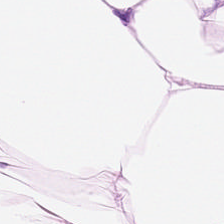H&E stain.
The tissue is adipose.
